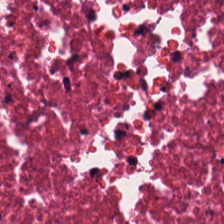0.5 microns per pixel; H&E. Showing cellular debris.
